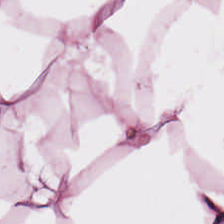Hematoxylin and eosin — Q: What is shown here?
A: Fat tissue.
